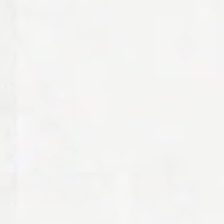Hematoxylin and eosin. This field is background (no tissue).
